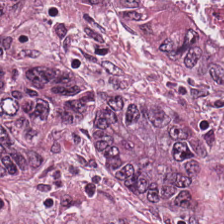Q: Identify the tissue.
A: This is tumor epithelium.
